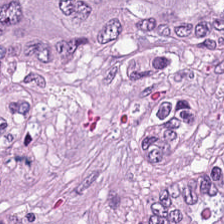224×224 px patch · H&E stain · FFPE. Q: What type of tissue is this?
A: The field shows adenocarcinoma.
